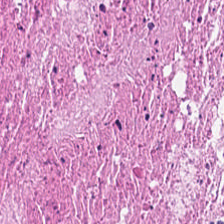0.5 microns per pixel; H&E stain. The classification is necrotic debris.
